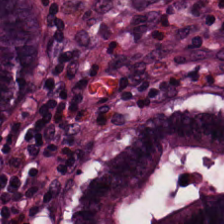Q: What is shown in this field?
A: Normal colon mucosa.
